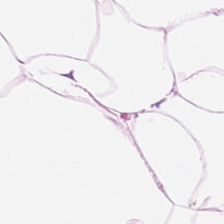H&E-stained tissue section — Tissue class: fat tissue.
